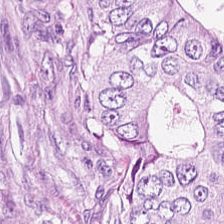Stain: H&E-stained tissue section.
Preparation: FFPE.
Tile size: 224×224 px tile.
Tissue: colorectal adenocarcinoma epithelium.
